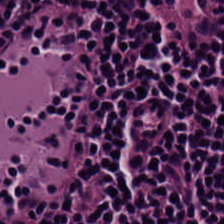Hematoxylin-and-eosin stained section.
Tissue type — lymphocytes.
